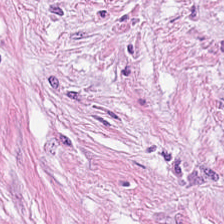H&E.
The tissue type is desmoplastic stroma.
